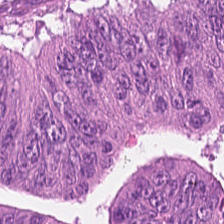H&E-stained tissue section · 224×224 pixel tile · brightfield — Tissue class — malignant epithelium.
